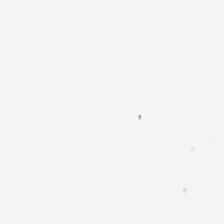This field is background (no tissue).
